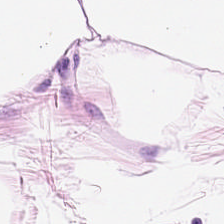H&E-stained tissue section — This patch shows fat tissue.
